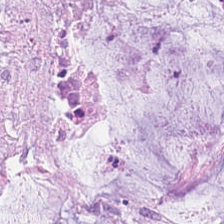Q: What does this patch show?
A: The field shows mucin.
